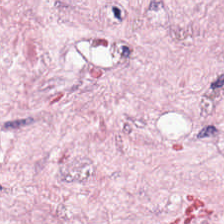This patch shows cancer-associated stroma.
